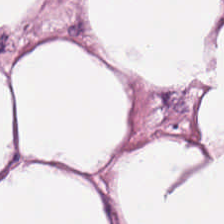Tissue class: adipose tissue.
